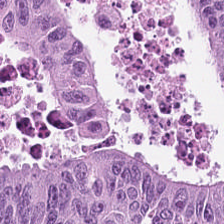Hematoxylin and eosin. Tissue class: malignant epithelium.
